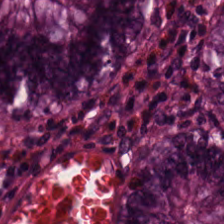Impression → benign colonic mucosa.
